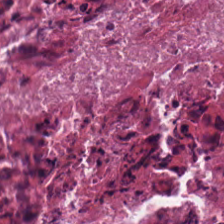Whole-slide-image patch · hematoxylin and eosin — The tissue here is cellular debris.
